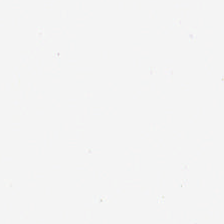Hematoxylin and eosin. Content: background.
